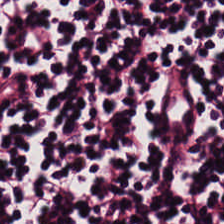Finding → lymphocytes.
